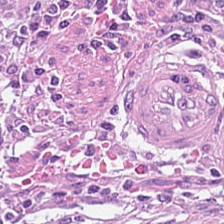0.5 µm per pixel; hematoxylin-and-eosin stained section.
Predominantly tumor-associated stroma.
